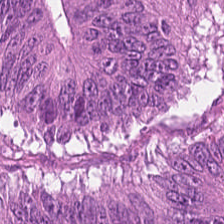H&E-stained tissue section. 224×224 pixel tile. FFPE tissue section — Predominant tissue = adenocarcinoma.
